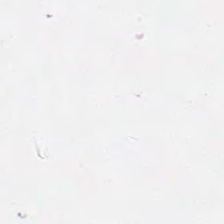Hematoxylin-and-eosin stained section. {"content": "background"}
